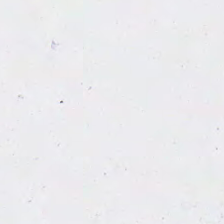FFPE. Hematoxylin-and-eosin stained section. 0.5 µm/px — Q: Classify this patch.
A: Background (no tissue).
